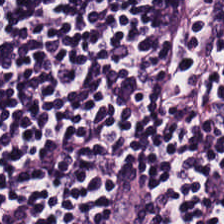FFPE; 0.5 microns per pixel; H&E.
The tissue here is lymphocyte aggregate.
